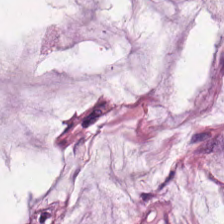Impression — extracellular mucin.
